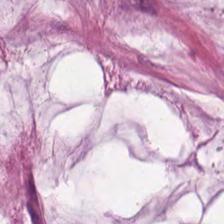0.5 µm/px. Hematoxylin and eosin. Histology — mucus.
